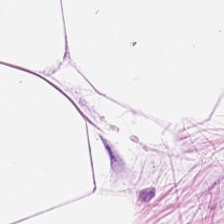Stain: H&E-stained tissue section.
Preparation: formalin-fixed paraffin-embedded section.
Tile size: 224×224 pixel tile.
Tissue type: adipose tissue.
